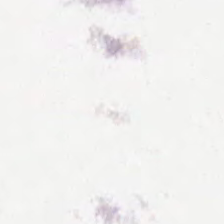224×224 px patch · hematoxylin and eosin.
No tissue present; background only.
